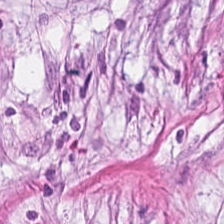Hematoxylin and eosin. 0.5 µm/px.
This field is tumor stroma.
